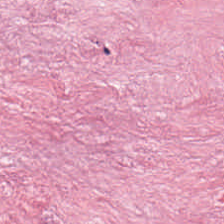Desmoplastic stroma.
